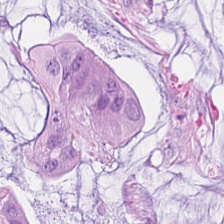H&E stain. Impression → extracellular mucin.
